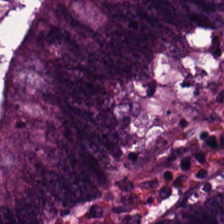Hematoxylin and eosin; formalin-fixed paraffin-embedded section; 0.5 microns per pixel. Q: What is the predominant tissue type?
A: This is colorectal adenocarcinoma.
